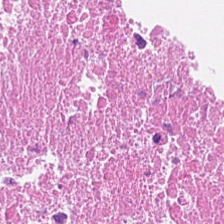Brightfield microscopy; 224×224 pixel tile; H&E-stained tissue section.
Tissue class = debris.
